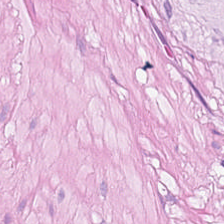H&E-stained tissue section. The tissue class is muscularis.
